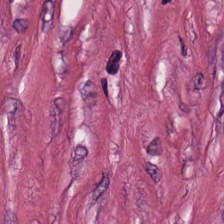Hematoxylin-and-eosin stained section. Whole-slide-image patch. {"tissue_type": "tumor stroma"}
